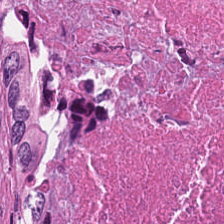Hematoxylin-and-eosin stained section — Finding → cellular debris.
